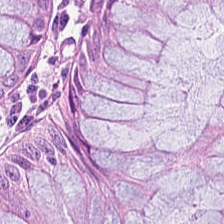Hematoxylin-and-eosin stained section; 0.5 microns per pixel.
This field is normal colonic mucosa.
